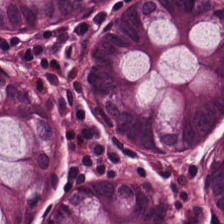H&E. The predominant tissue is normal colon mucosa.
